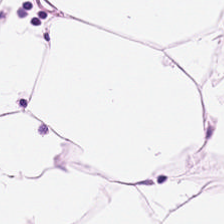WSI patch · hematoxylin and eosin · 224×224 pixel tile — The tissue is fat tissue.
